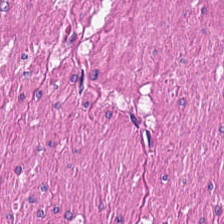Hematoxylin-and-eosin stained section; FFPE tissue section — The tissue is smooth-muscle tissue.
